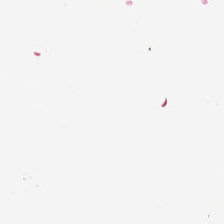This field is background (no tissue).
